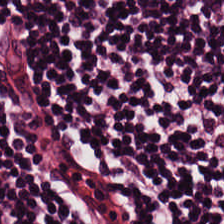H&E.
This patch shows lymphocytic infiltrate.
